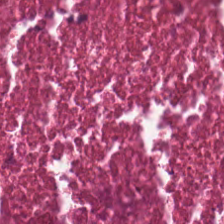224×224 px patch. Hematoxylin-and-eosin stained section.
Q: What does this patch show?
A: The field shows necrotic debris.
